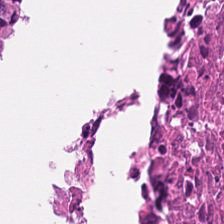H&E. Q: What is shown in this field?
A: The field shows debris.
